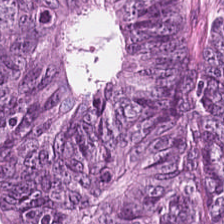H&E.
Impression → adenocarcinoma.
